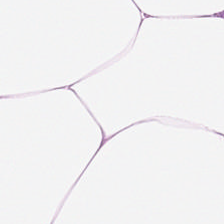Q: What is shown in this field?
A: Fat tissue.
